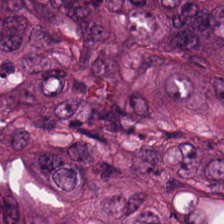Q: What tissue is shown?
A: This is adenocarcinoma.
